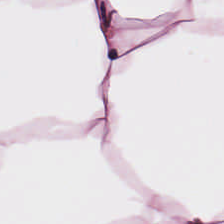Showing fat tissue.
